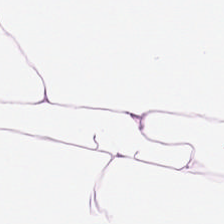Stain: H&E.
Preparation: formalin-fixed paraffin-embedded section.
Tile size: 224×224 px tile.
Tissue type: adipocytes.
